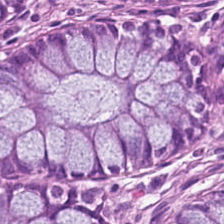H&E stain. 0.5 microns per pixel — Non-neoplastic colon mucosa.
